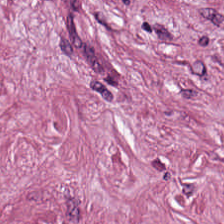Predominantly tumor stroma.
